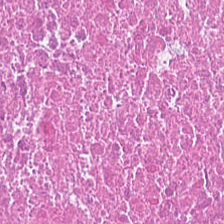0.5 µm per pixel; H&E-stained tissue section — Tissue class — necrotic debris.
